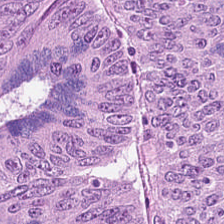Q: Identify the tissue.
A: This is malignant epithelium.
